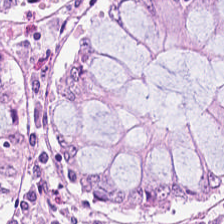Whole-slide-image patch. Hematoxylin and eosin.
Q: What tissue is shown?
A: This is normal colonic mucosa.
